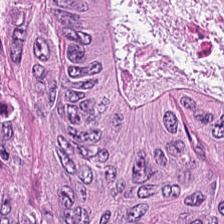Tissue type: colorectal adenocarcinoma epithelium.
